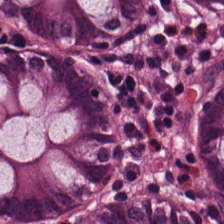FFPE tissue section. Hematoxylin-and-eosin stained section.
Tissue = normal colon mucosa.
